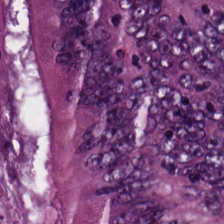{"tissue_type": "adenocarcinoma"}
